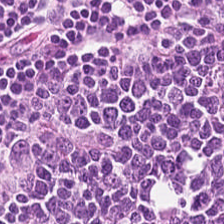The tissue here is lymphocytes.
